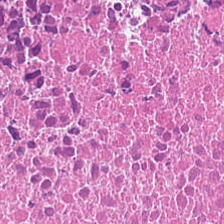Hematoxylin and eosin — Q: What tissue is shown?
A: This is debris.
